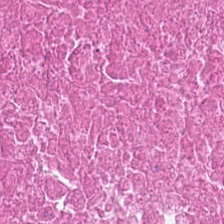Hematoxylin-and-eosin stained section. 224×224 px patch. Classification — necrotic debris.
